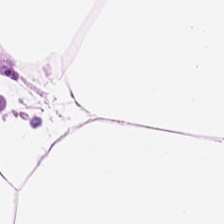Hematoxylin and eosin. Finding — fat tissue.
